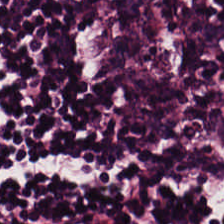H&E stain; formalin-fixed paraffin-embedded section; brightfield microscopy — Q: Identify the tissue.
A: It is lymphocytes.
